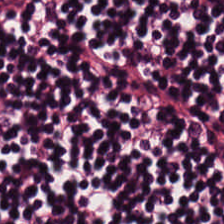Stain: hematoxylin and eosin.
Predominant tissue: lymphocytes.
